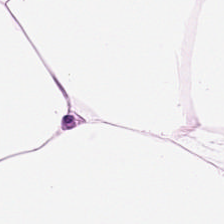H&E. 0.5 microns per pixel. Q: What does this patch show?
A: This is adipose.
